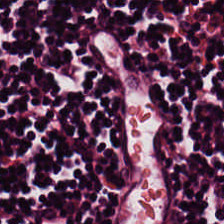H&E-stained tissue section · FFPE. Predominant tissue = lymphoid infiltrate.
